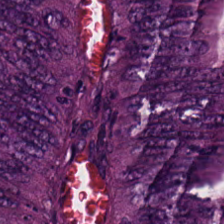224×224 pixel tile · H&E · brightfield microscopy — The predominant tissue is tumor epithelium.
